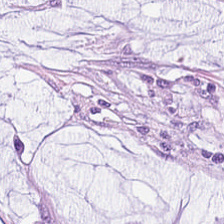H&E stain; formalin-fixed paraffin-embedded section. Mucin.
